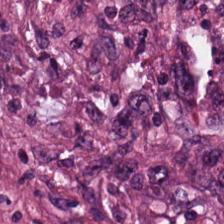H&E.
Finding → cancer-associated stroma.
